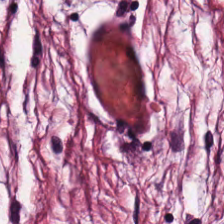H&E.
Predominantly desmoplastic stroma.
